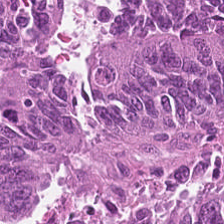Hematoxylin and eosin. 0.5 microns per pixel. Tissue class = colorectal adenocarcinoma.
